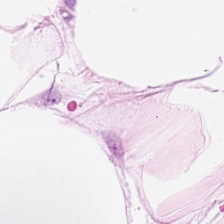H&E stain.
Q: What tissue type is shown here?
A: It is fat tissue.
